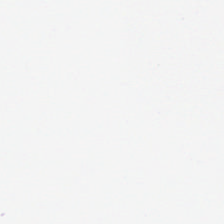Stain: hematoxylin and eosin.
Field content: background.
